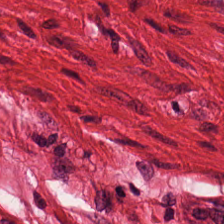H&E-stained tissue section showing smooth muscle.
